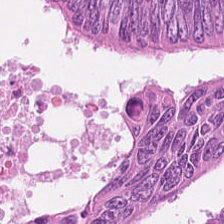Stain: H&E stain.
Predominant tissue: adenocarcinoma.
